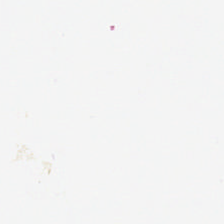Hematoxylin and eosin. 0.5 µm/px.
Empty background.
